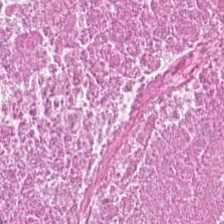Hematoxylin-and-eosin section: debris.
